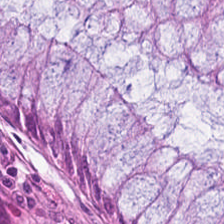0.5 µm/px; whole-slide-image patch; H&E stain. Q: What tissue type is shown here?
A: Normal colon mucosa.
